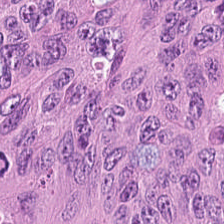H&E. 224×224 px patch. Tissue type = malignant epithelium.
